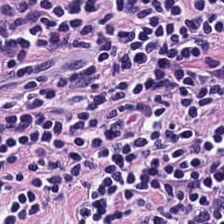H&E-stained tissue section. Predominantly lymphocyte aggregate.
